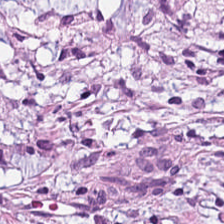FFPE; H&E-stained tissue section.
Q: What type of tissue is this?
A: It is tumor stroma.
